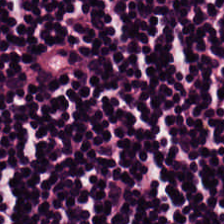Hematoxylin and eosin.
The predominant tissue is lymphoid infiltrate.
